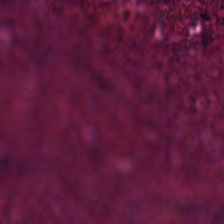0.5 microns per pixel; H&E stain. Debris.
